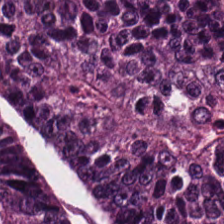H&E. Tissue type — malignant epithelium.
